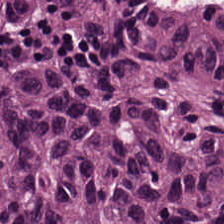H&E-stained tissue section — Q: What is the predominant tissue type?
A: It is colorectal adenocarcinoma.
